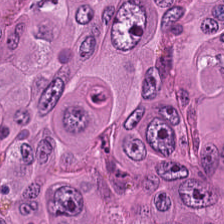Hematoxylin-and-eosin stained section. The tissue here is adenocarcinoma.
